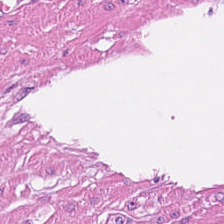H&E stain. Showing smooth-muscle tissue.
